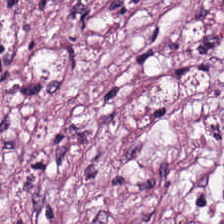Hematoxylin and eosin. Finding — tumor-associated stroma.
